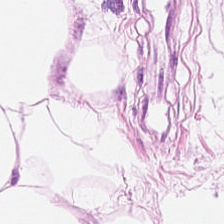Hematoxylin-and-eosin stained section. Predominantly adipose.
